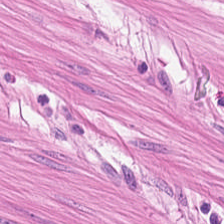H&E-stained tissue section · 224×224 pixel tile · formalin-fixed paraffin-embedded section.
This field is smooth-muscle tissue.
